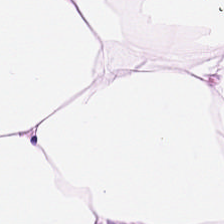Stain: hematoxylin and eosin.
Tissue: adipose.
